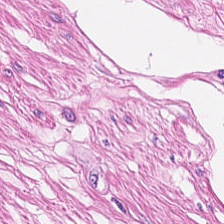Hematoxylin-and-eosin section: muscularis.
